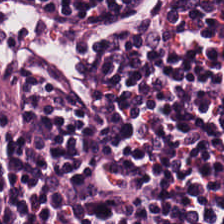H&E stain.
The tissue here is lymphocytes.
